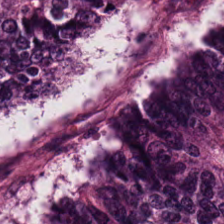Stain: hematoxylin-and-eosin stained section.
Predominant tissue: malignant epithelium.
